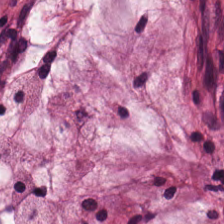Hematoxylin-and-eosin stained section. Finding — mucus.
